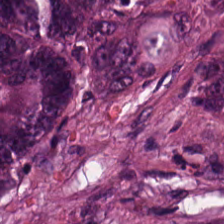H&E-stained tissue section.
Predominant tissue: tumor epithelium.
